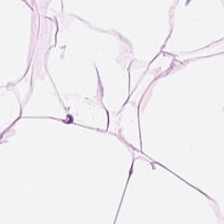Brightfield; 0.5 µm/px; H&E stain — {"tissue_type": "adipocytes"}
